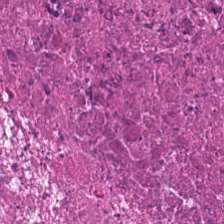H&E-stained tissue section — This field is cellular debris.
